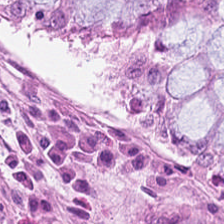Stain: H&E-stained tissue section.
Tissue class: benign colonic mucosa.
